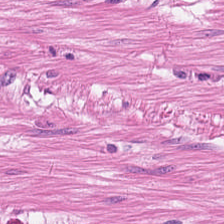{"tissue_type": "muscularis"}
